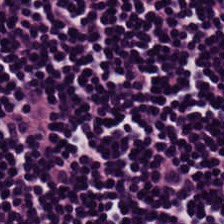H&E stain — The classification is lymphocyte aggregate.
